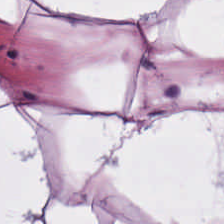Brightfield. H&E-stained tissue section. FFPE. Histology → adipocytes.
